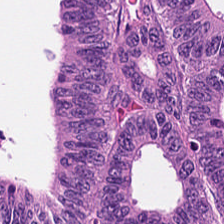Tissue: colorectal adenocarcinoma.
